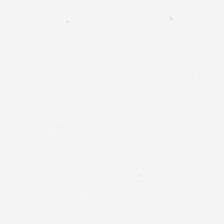Hematoxylin-and-eosin stained section — Q: What does this patch show?
A: Empty background.
